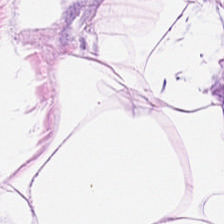Q: Classify this patch.
A: This is adipose.
